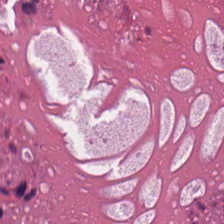224×224 px tile; H&E-stained tissue section — Showing debris.
